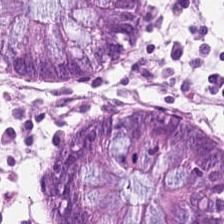H&E-stained tissue section · 224×224 px tile.
Q: Identify the tissue.
A: This is benign colonic mucosa.
